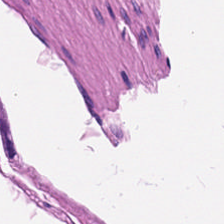Hematoxylin-and-eosin section: muscularis.
